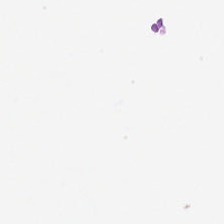H&E stain. No tissue present; background only.
